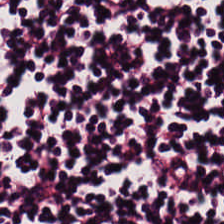Hematoxylin and eosin · WSI patch — Tissue type = lymphocyte aggregate.
